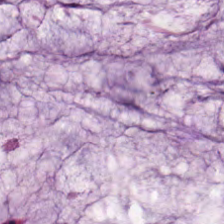Stain: hematoxylin-and-eosin stained section.
Predominant tissue: mucin.
